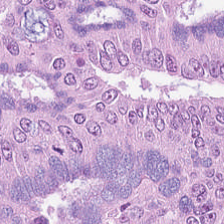Hematoxylin and eosin — Predominantly colorectal adenocarcinoma.
